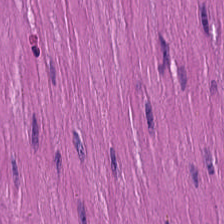H&E stain — Predominantly smooth muscle.
